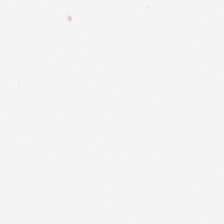H&E-stained tissue section. Brightfield microscopy — Empty field — empty background.
